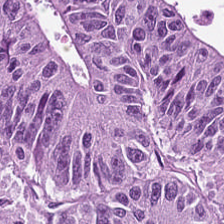Q: Identify the tissue.
A: It is adenocarcinoma.
